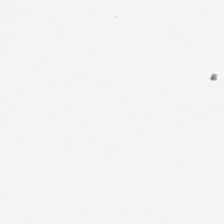Hematoxylin and eosin; 224×224 px tile; FFPE.
{"content": "background"}
